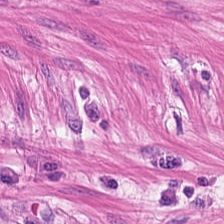WSI patch. H&E stain.
Tissue class = muscularis.
